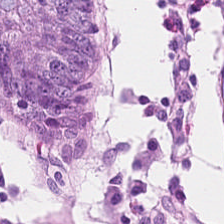The predominant tissue is benign colonic mucosa.
